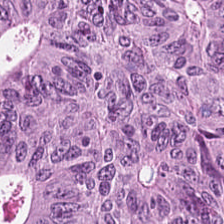Stain: H&E stain.
Predominant tissue: colorectal adenocarcinoma.
